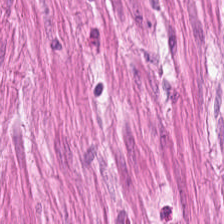H&E stain — Q: What tissue type is shown here?
A: Smooth muscle.
